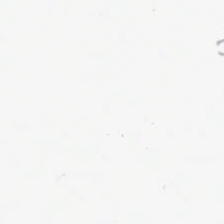H&E; whole-slide-image patch; 0.5 microns per pixel. No tissue present; background only.
